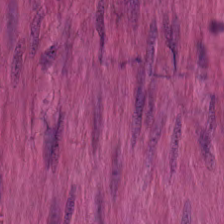Stain: H&E-stained tissue section.
Tissue type: smooth muscle.
